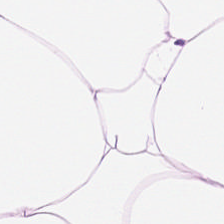H&E-stained tissue section. Whole-slide-image patch. Adipose tissue.
